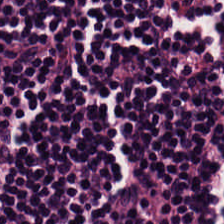H&E-stained tissue section.
Classification — lymphocytic infiltrate.
